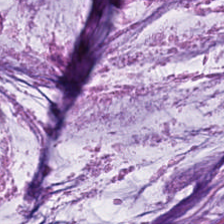Histology — mucin.
